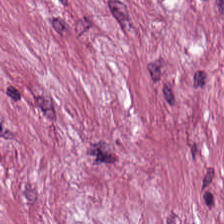H&E-stained tissue section. FFPE tissue section. Tumor stroma.
